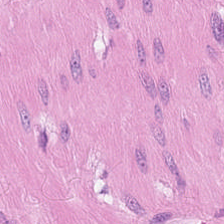H&E stain. FFPE.
Finding — smooth-muscle tissue.
